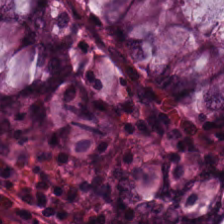H&E-stained tissue section. Tissue type — non-neoplastic colon mucosa.
